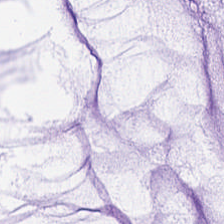H&E stain; 224×224 px tile. Histology — mucin.
